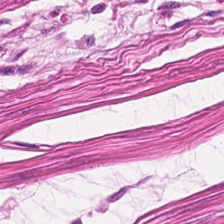Stain: H&E.
Classification: smooth-muscle tissue.
